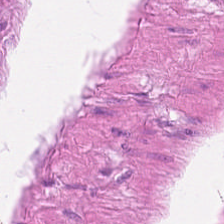H&E-stained section; the field shows muscularis.
